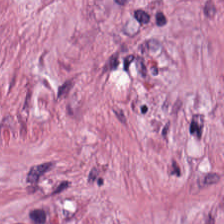H&E stain. The tissue here is tumor stroma.
